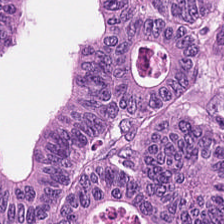Hematoxylin and eosin · 224×224 px tile.
{"tissue_type": "tumor epithelium"}
